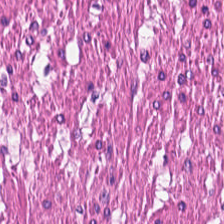H&E — This patch shows smooth-muscle tissue.
